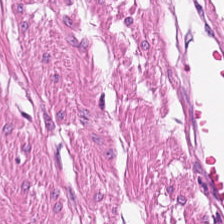{"tissue_type": "smooth muscle"}
